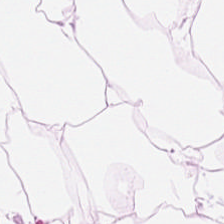Hematoxylin and eosin. Classification: adipocytes.
